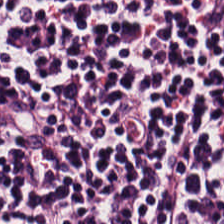Whole-slide-image patch. H&E stain — Predominant tissue: lymphoid infiltrate.
